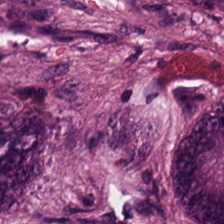Hematoxylin-and-eosin stained section — {"tissue_type": "colorectal adenocarcinoma epithelium"}
